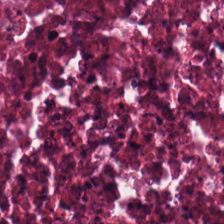This patch shows debris.
